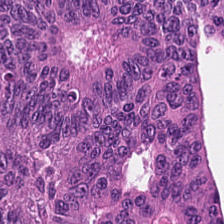Whole-slide-image patch · H&E stain · 224×224 px patch — This field is adenocarcinoma.
